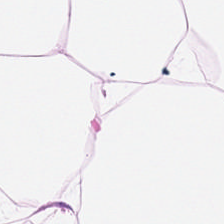Finding → adipose.
